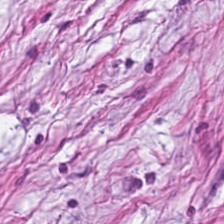Hematoxylin and eosin.
Tissue type = cancer-associated stroma.
